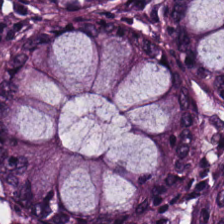224×224 px patch · hematoxylin and eosin — {"tissue_type": "normal colon mucosa"}
